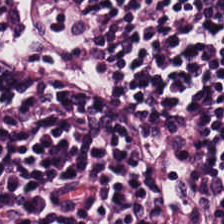H&E. Impression — lymphocytic infiltrate.
